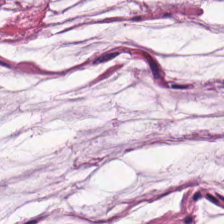Formalin-fixed paraffin-embedded section · 224×224 pixel tile · hematoxylin and eosin — Predominant tissue — mucus.
